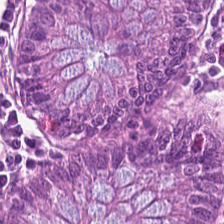Hematoxylin-and-eosin section: normal colon mucosa.
